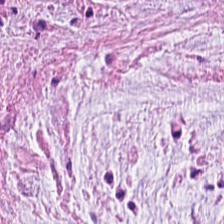FFPE tissue section · 224×224 px tile · H&E-stained tissue section — The predominant tissue is extracellular mucin.
